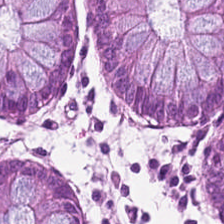H&E stain — The tissue type is benign colonic mucosa.
